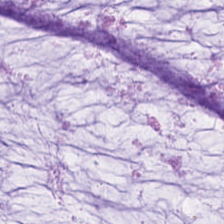Hematoxylin-and-eosin stained section. This field is extracellular mucin.
